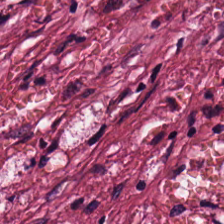H&E-stained tissue section.
Desmoplastic stroma.
